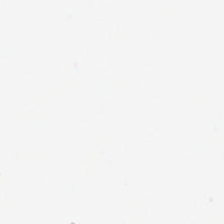Impression — background.
